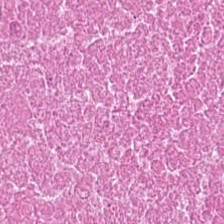0.5 µm/px. Brightfield. Hematoxylin and eosin — This patch shows necrotic debris.
